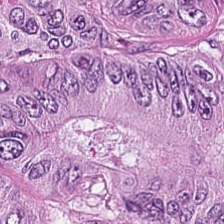Hematoxylin and eosin. Impression — malignant epithelium.
